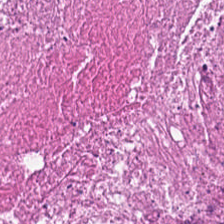Stain: hematoxylin and eosin.
Predominant tissue: necrotic debris.
